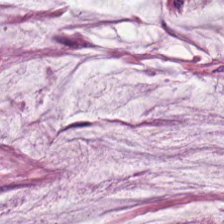H&E-stained tissue section showing mucin.
